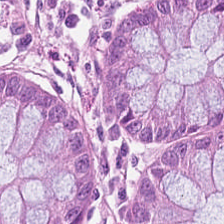H&E-stained tissue section showing benign colonic mucosa.
